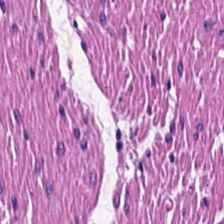H&E stain.
Q: What type of tissue is this?
A: It is smooth-muscle tissue.
